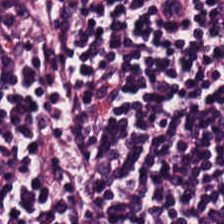The tissue type is lymphocytic infiltrate.
